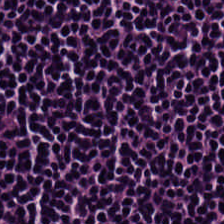H&E · whole-slide-image patch.
Tissue = lymphocytic infiltrate.
